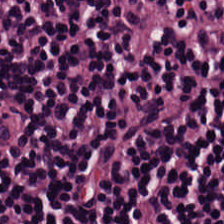H&E-stained tissue section showing lymphoid infiltrate.
